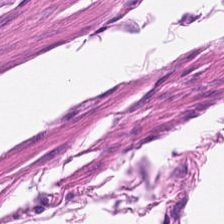H&E stain. Histology → smooth-muscle tissue.
